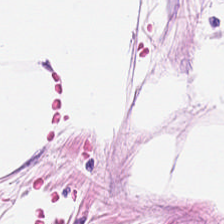FFPE tissue section. H&E. Brightfield. Finding → adipose tissue.
